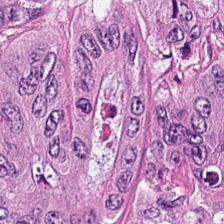Stain: hematoxylin-and-eosin stained section.
Resolution: 20× equivalent magnification.
Tile size: 224×224 px patch.
Predominant tissue: colorectal adenocarcinoma epithelium.
